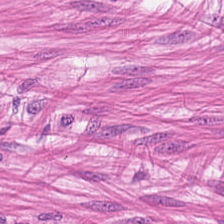H&E stain — Predominant tissue = smooth muscle.
